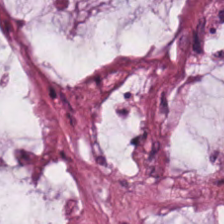Hematoxylin-and-eosin stained section.
Tissue type: mucin.
